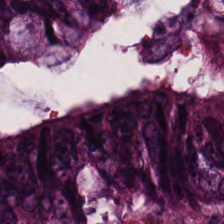Histology — adenocarcinoma.
